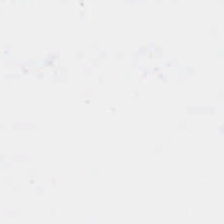Empty background.
